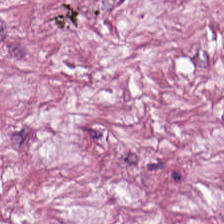{"tissue_type": "tumor-associated stroma"}
